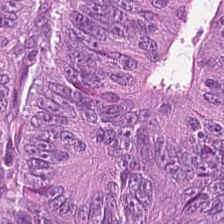Tissue type — tumor epithelium.
